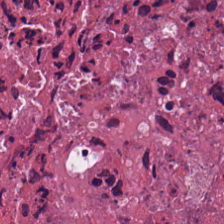H&E — Q: Classify this patch.
A: This is cellular debris.
